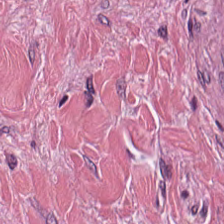H&E — Predominant tissue: tumor stroma.
